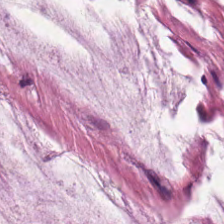H&E-stained tissue section. This patch shows extracellular mucin.
